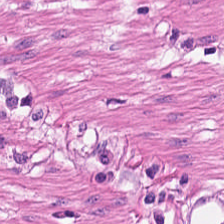H&E — This field is smooth-muscle tissue.
